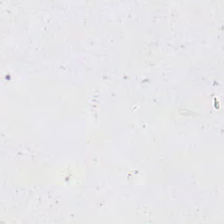FFPE · H&E stain. Histology → background.
